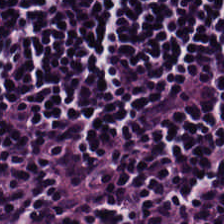H&E · FFPE.
Predominantly lymphoid infiltrate.
